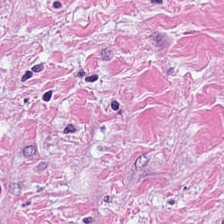H&E patch showing desmoplastic stroma.
